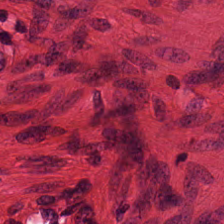Q: What tissue is shown?
A: Smooth muscle.
